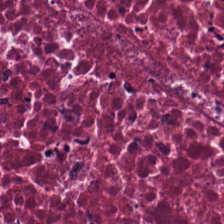Hematoxylin-and-eosin stained section. {"tissue_type": "debris"}
